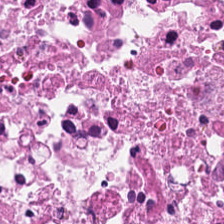Tissue — necrotic debris.
